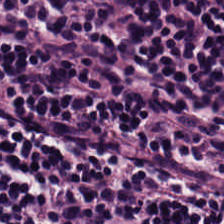Hematoxylin and eosin; FFPE. Q: What does this patch show?
A: It is lymphocytic infiltrate.
